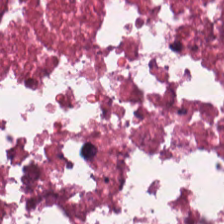FFPE tissue section. H&E-stained tissue section. Impression — debris.
